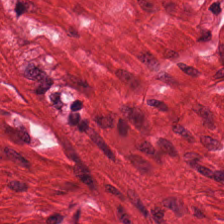20× equivalent magnification. H&E. 224×224 px tile.
Showing smooth-muscle tissue.
